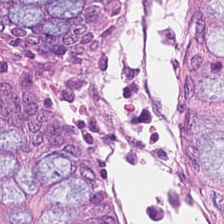H&E patch showing non-neoplastic colon mucosa.
